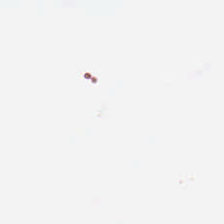Hematoxylin-and-eosin stained section. Empty background.
